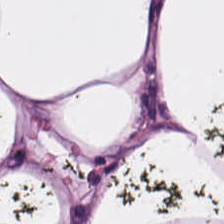Hematoxylin and eosin · 224×224 pixel tile · whole-slide-image patch. Predominantly adipose.
